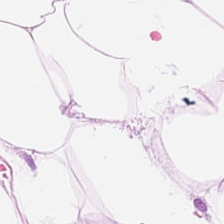H&E-stained tissue section · 224×224 px patch.
This patch shows fat tissue.
